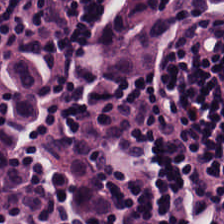FFPE tissue section; 0.5 µm/px; H&E-stained tissue section. Q: What tissue is shown?
A: The field shows lymphoid infiltrate.
